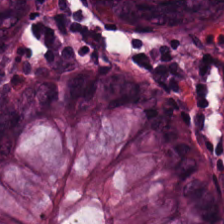Classification = normal colonic mucosa.
